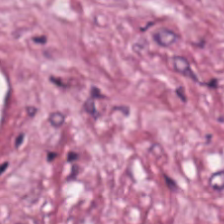Hematoxylin-and-eosin stained section. Classification — tumor-associated stroma.
